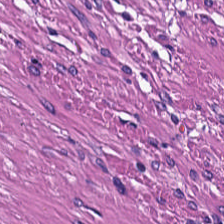H&E. FFPE tissue section. {"tissue_type": "smooth muscle"}
